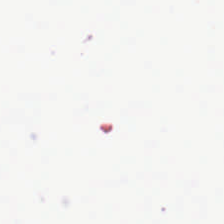Stain: H&E.
Resolution: 0.5 µm per pixel.
Field content: no tissue.
